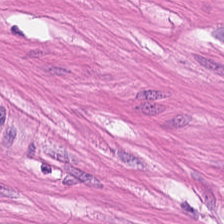Stain: hematoxylin and eosin.
Tissue class: muscularis.
